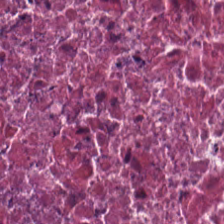H&E stain — Showing cellular debris.
